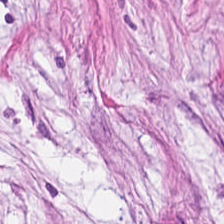H&E-stained tissue section showing tumor stroma.
